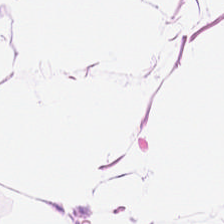H&E. Fat tissue.
